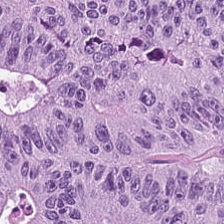H&E; FFPE tissue section. {"tissue_type": "tumor epithelium"}
